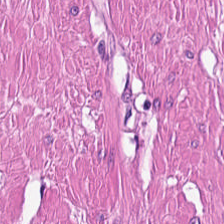Hematoxylin and eosin. Finding — smooth-muscle tissue.
